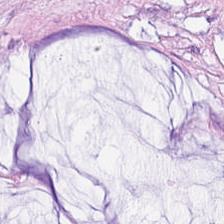Hematoxylin and eosin — The classification is mucin.
